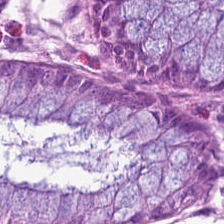Predominantly non-neoplastic colon mucosa.
